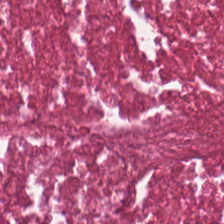Hematoxylin and eosin; 20× equivalent magnification; 224×224 pixel tile — Q: What tissue is shown?
A: Necrotic debris.
